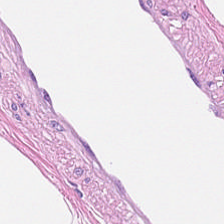H&E stain. Q: What tissue is shown?
A: The field shows adipose.
